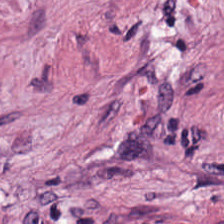The tissue here is tumor stroma.
